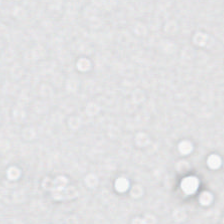H&E-stained tissue section — This field is background (no tissue).
